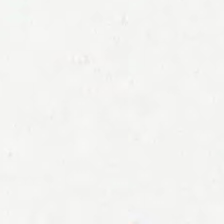H&E · 0.5 microns per pixel — Classification: background (no tissue).
